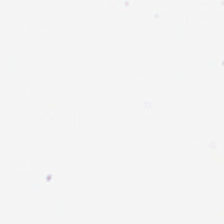This patch shows background (no tissue).
